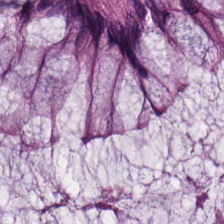H&E stain.
Tissue type = normal colon mucosa.
